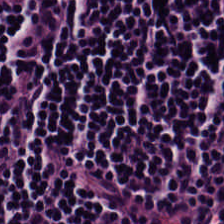Tissue type: lymphocyte aggregate.
